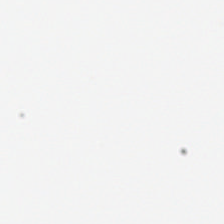Hematoxylin-and-eosin stained section.
Q: What does this patch show?
A: It is background (no tissue).
